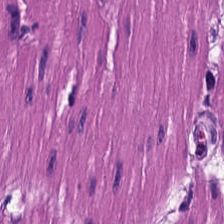Hematoxylin-and-eosin stained section. Q: What is the predominant tissue type?
A: It is muscularis.
